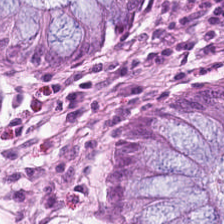H&E stain — Q: What does this patch show?
A: Normal colon mucosa.
